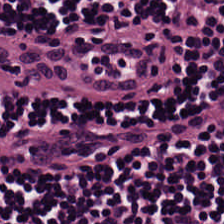H&E patch showing lymphocytic infiltrate.
